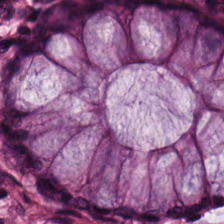WSI patch; hematoxylin-and-eosin stained section. Showing benign colonic mucosa.
